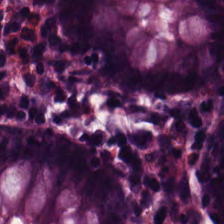Predominantly normal colon mucosa.
